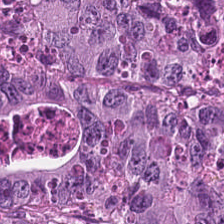Predominant tissue — malignant epithelium.
